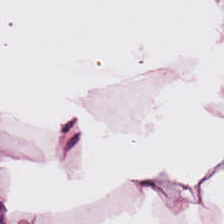Stain: hematoxylin-and-eosin stained section.
Tissue class: adipose.
